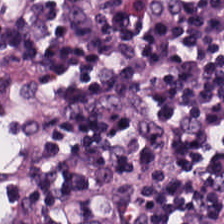20× equivalent magnification · H&E.
This field is lymphocytes.
